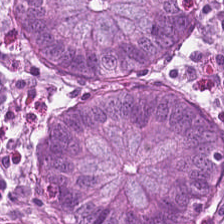224×224 px tile; H&E.
Q: Classify this patch.
A: Normal colon mucosa.
